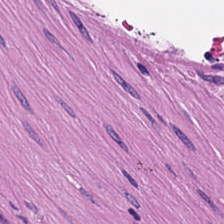20× equivalent magnification; formalin-fixed paraffin-embedded section; H&E-stained tissue section — Q: What type of tissue is this?
A: This is smooth-muscle tissue.
